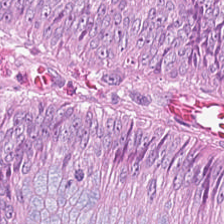224×224 pixel tile; H&E-stained tissue section. Tissue = adenocarcinoma.
